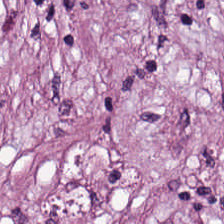Hematoxylin-and-eosin stained section.
Q: What does this patch show?
A: It is tumor-associated stroma.
